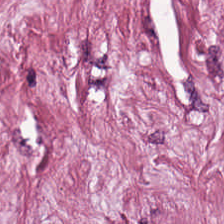0.5 µm per pixel; FFPE; H&E stain.
Q: What tissue type is shown here?
A: This is tumor stroma.
